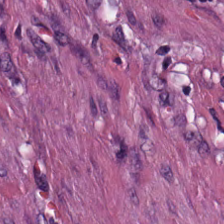This patch shows cancer-associated stroma.
